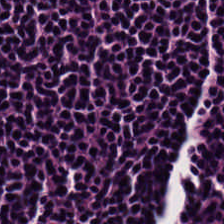H&E stain.
The classification is lymphocytic infiltrate.
